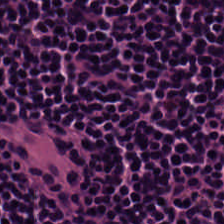Hematoxylin-and-eosin stained section. This field is lymphocytic infiltrate.
